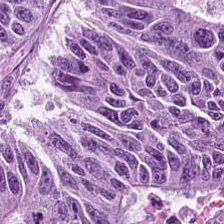Hematoxylin and eosin. Adenocarcinoma.
